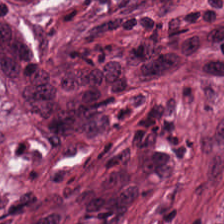Stain: hematoxylin and eosin.
Preparation: FFPE.
Resolution: 0.5 microns per pixel.
Predominant tissue: tumor-associated stroma.
